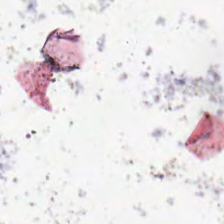Formalin-fixed paraffin-embedded section. 0.5 µm per pixel. H&E-stained tissue section. This patch shows background.
